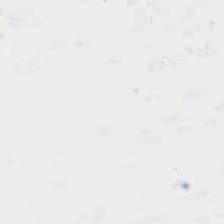Hematoxylin and eosin.
Classification: background.
